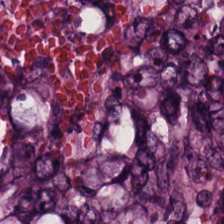H&E-stained tissue section. Brightfield. 0.5 µm per pixel.
Predominant tissue: malignant epithelium.
